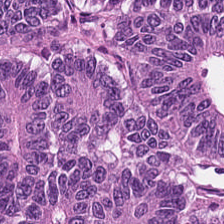Showing tumor epithelium.
